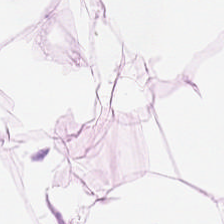The predominant tissue is adipocytes.
